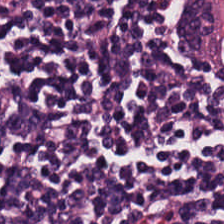Impression → lymphocyte aggregate.
